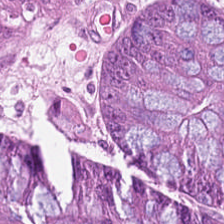Stain: H&E.
Classification: malignant epithelium.
